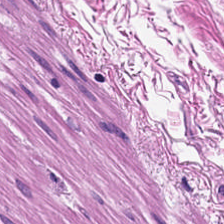Hematoxylin and eosin.
This field is smooth-muscle tissue.
